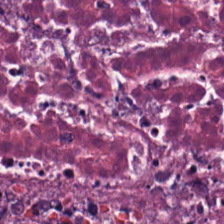H&E-stained tissue section — Q: What tissue is shown?
A: This is debris.
